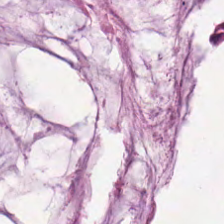Histology — mucus.
